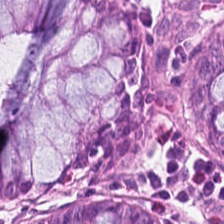H&E — Impression → non-neoplastic colon mucosa.
